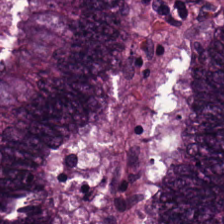H&E; 224×224 pixel tile; WSI patch — {"tissue_type": "tumor epithelium"}
